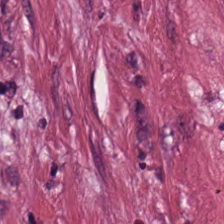224×224 pixel tile · H&E stain — Tumor-associated stroma.
